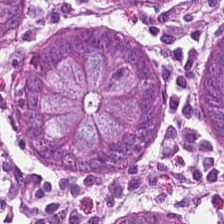H&E stain.
Q: What is shown here?
A: Benign colonic mucosa.
